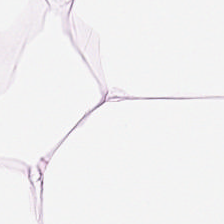H&E-stained tissue section. {"tissue_type": "adipose tissue"}
